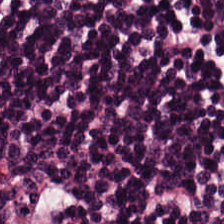224×224 px patch · brightfield · hematoxylin-and-eosin stained section — Lymphocyte aggregate.
